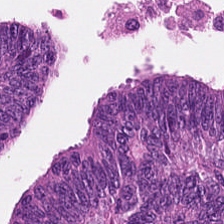{"tissue_type": "colorectal adenocarcinoma epithelium"}
